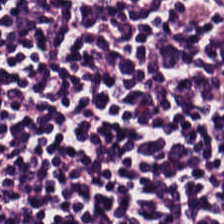224×224 pixel tile · H&E-stained tissue section — Q: What is the predominant tissue type?
A: It is lymphocyte aggregate.
